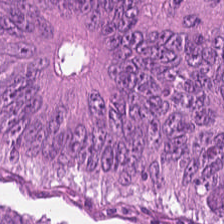The classification is malignant epithelium.
